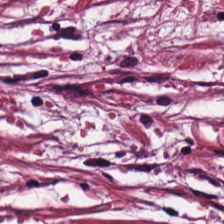H&E. Q: What does this patch show?
A: The field shows desmoplastic stroma.
